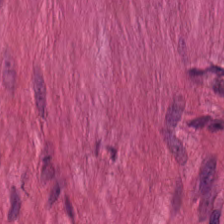Hematoxylin and eosin.
{"tissue_type": "smooth muscle"}
